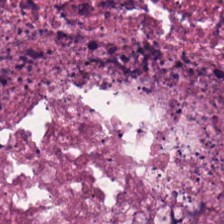H&E stain; 20× equivalent magnification; brightfield microscopy. Predominantly debris.
